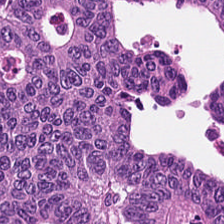H&E stain. Q: What tissue is shown?
A: This is malignant epithelium.
